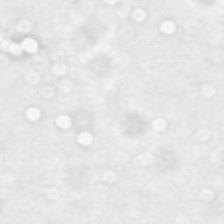Content = no tissue.
